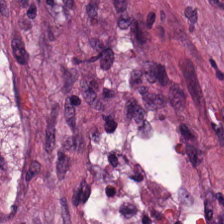Hematoxylin-and-eosin stained section; 20× equivalent magnification.
Cancer-associated stroma.
